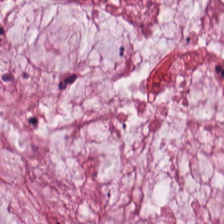Classification — mucin.
